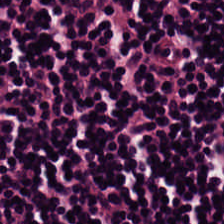224×224 pixel tile · H&E stain — Finding → lymphocytes.
